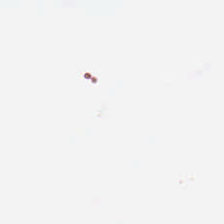H&E; 224×224 px patch. Classification — background (no tissue).
